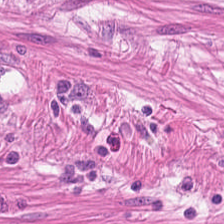Hematoxylin and eosin. Brightfield. Predominantly muscularis.
